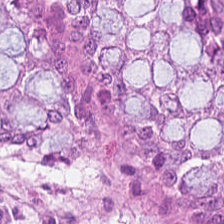Stain: hematoxylin and eosin.
Tissue class: benign colonic mucosa.
